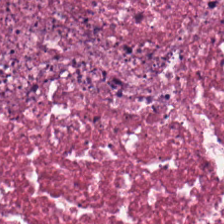H&E. Brightfield. FFPE. Showing cellular debris.
